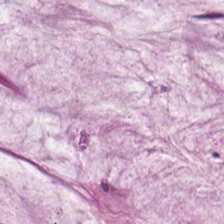The classification is mucus.
